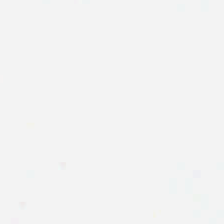Q: What does this patch show?
A: It is background.
